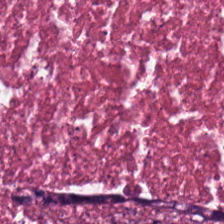H&E-stained tissue section; whole-slide-image patch.
The predominant tissue is cellular debris.
